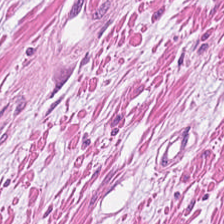Formalin-fixed paraffin-embedded section · hematoxylin and eosin · 224×224 px tile — Smooth-muscle tissue.
